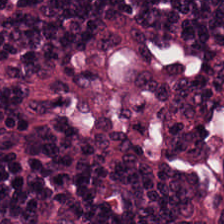Hematoxylin and eosin. Classification — lymphoid infiltrate.
